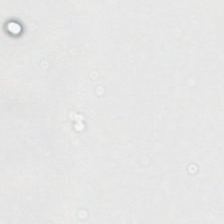0.5 microns per pixel · hematoxylin-and-eosin stained section. The content is background.
